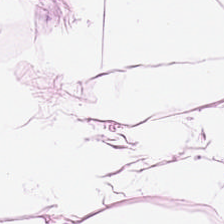Brightfield microscopy · H&E-stained tissue section · FFPE.
Predominantly adipose.
